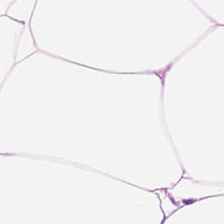Stain: H&E.
Resolution: 0.5 microns per pixel.
Predominant tissue: adipose.
